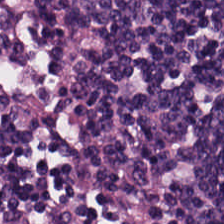Stain: H&E-stained tissue section.
Tissue class: lymphocytic infiltrate.
